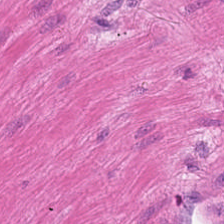H&E.
The tissue class is smooth-muscle tissue.
